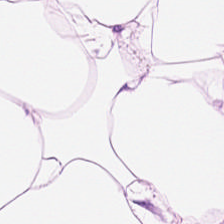Q: What is the predominant tissue type?
A: It is adipose tissue.
